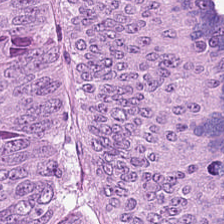The tissue type is colorectal adenocarcinoma.
